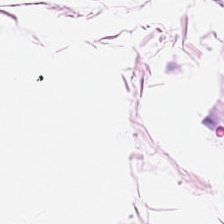H&E — Classification = adipocytes.
